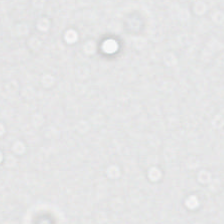WSI patch; 0.5 µm per pixel; hematoxylin and eosin. Histology → empty background.
